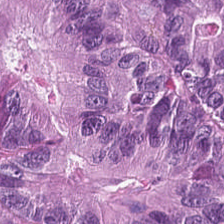Stain: hematoxylin and eosin.
Preparation: formalin-fixed paraffin-embedded section.
Classification: colorectal adenocarcinoma.
